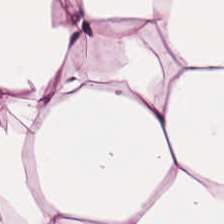Formalin-fixed paraffin-embedded section. H&E. Tissue = adipose.
